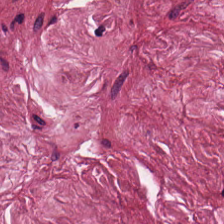Hematoxylin and eosin. 224×224 px patch.
Q: Identify the tissue.
A: This is tumor stroma.
